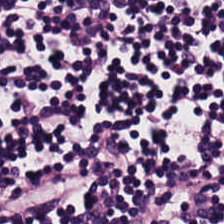H&E · whole-slide-image patch · 224×224 px patch. Lymphocytes.
